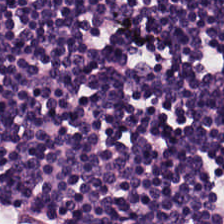Formalin-fixed paraffin-embedded section · H&E stain — The classification is lymphocyte aggregate.
